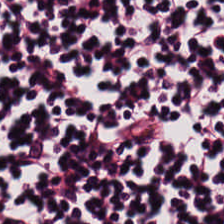224×224 pixel tile. Hematoxylin-and-eosin stained section — {"tissue_type": "lymphoid infiltrate"}
